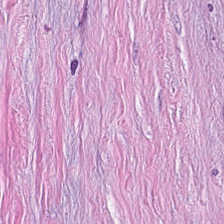Hematoxylin and eosin. Predominantly cancer-associated stroma.
